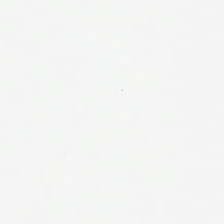H&E. Q: Classify this patch.
A: Background.
